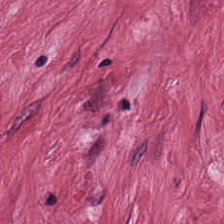0.5 µm/px; H&E stain.
The tissue here is cancer-associated stroma.
